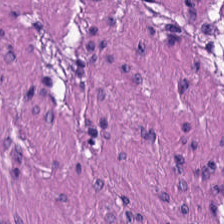Stain: H&E.
Tile size: 224×224 px tile.
Acquisition: brightfield microscopy.
Predominant tissue: smooth muscle.
